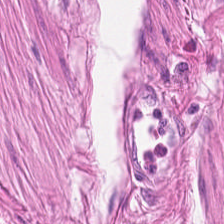Tissue class = smooth muscle.
